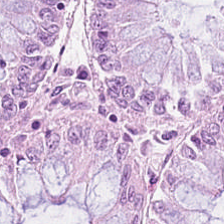H&E. 224×224 px patch. FFPE. Tissue = normal colon mucosa.
